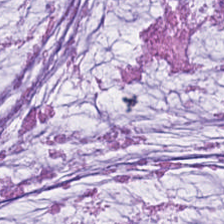H&E-stained tissue section. 20× equivalent magnification. 224×224 px patch.
Showing mucus.
